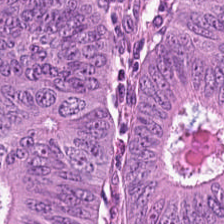Whole-slide-image patch · hematoxylin and eosin · 0.5 µm/px. Tissue type = colorectal adenocarcinoma epithelium.
